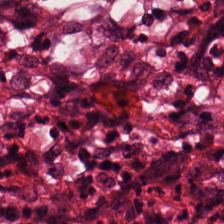Hematoxylin-and-eosin stained section; WSI patch.
Histology → desmoplastic stroma.
